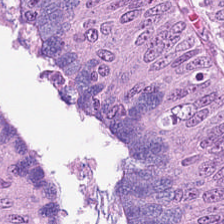Hematoxylin and eosin.
The predominant tissue is colorectal adenocarcinoma epithelium.
